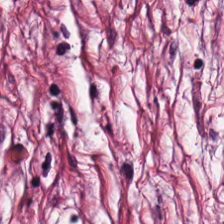{"tissue_type": "cancer-associated stroma"}
